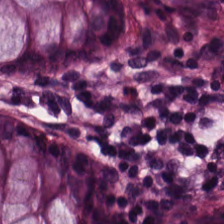Hematoxylin and eosin. Q: What tissue type is shown here?
A: Normal colon mucosa.
